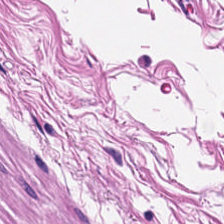Hematoxylin-and-eosin section: smooth muscle.
